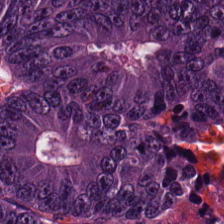H&E. Predominant tissue: tumor epithelium.
